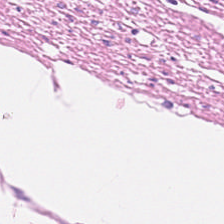Q: What type of tissue is this?
A: This is muscularis.
